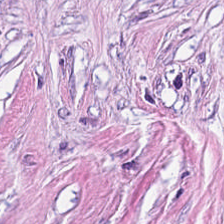Predominantly cancer-associated stroma.
